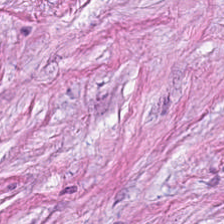0.5 microns per pixel. H&E stain — Tissue class — cancer-associated stroma.
